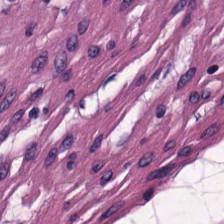H&E patch showing smooth muscle.
